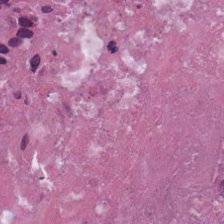H&E stain — The predominant tissue is debris.
